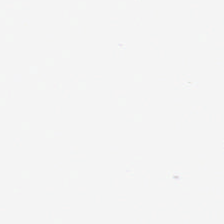224×224 px tile. H&E stain. FFPE.
Empty field — empty background.
